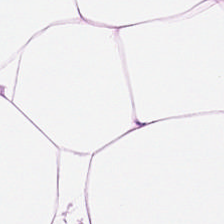224×224 px tile. FFPE. H&E-stained tissue section.
This patch shows adipose tissue.
